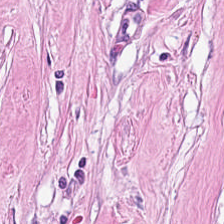Stain: hematoxylin and eosin.
Tile size: 224×224 px patch.
Classification: cancer-associated stroma.
